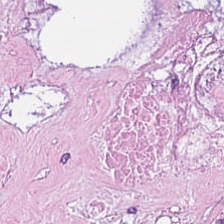H&E-stained section; the field shows cellular debris.
